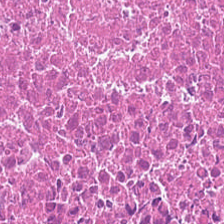Stain: hematoxylin and eosin.
Classification: cellular debris.
